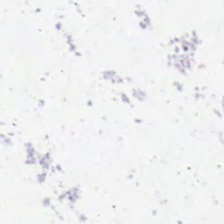Hematoxylin-and-eosin stained section. Brightfield.
The field content is background.
